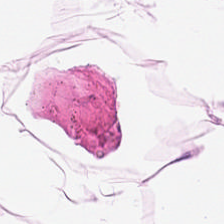Stain: hematoxylin and eosin.
Preparation: FFPE.
Resolution: 0.5 µm/px.
Classification: adipose tissue.
